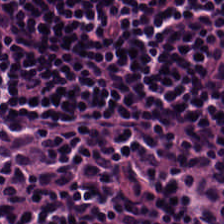Hematoxylin and eosin.
The tissue type is lymphocytic infiltrate.
